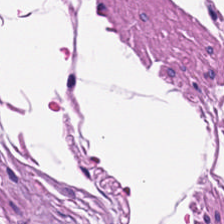H&E-stained section; the field shows muscularis.
